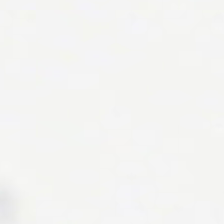FFPE; H&E.
Q: What is shown in this field?
A: It is empty background.
